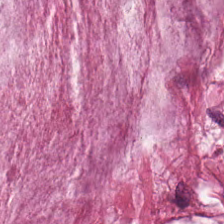224×224 px tile. FFPE. Hematoxylin-and-eosin stained section.
Predominantly extracellular mucin.
